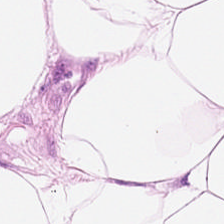H&E. 224×224 px patch.
Q: What type of tissue is this?
A: This is adipocytes.
